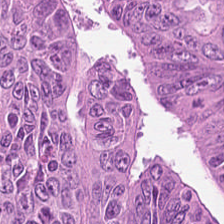This patch shows tumor epithelium.
